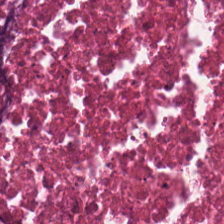The tissue here is necrotic debris.
